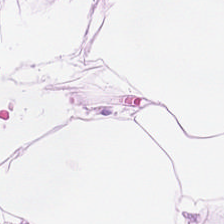H&E stain.
This field is adipose.
